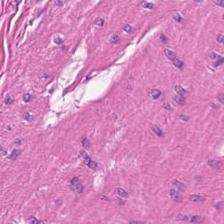H&E stain · 0.5 microns per pixel. Predominant tissue: smooth muscle.
